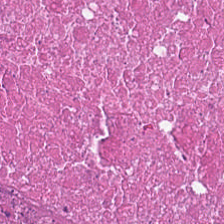Hematoxylin-and-eosin stained section · FFPE. Q: What is shown in this field?
A: It is cellular debris.
